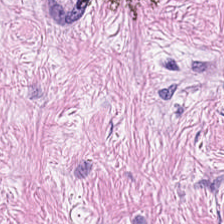The classification is tumor stroma.
